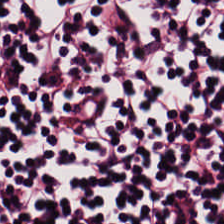Q: Classify this patch.
A: This is lymphocyte aggregate.
